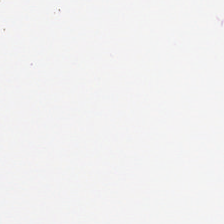Hematoxylin-and-eosin stained section · brightfield microscopy · 0.5 microns per pixel.
The classification is smooth muscle.
